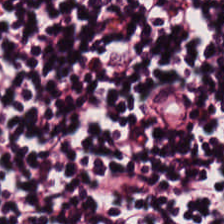Stain: H&E stain.
Resolution: 0.5 µm per pixel.
Tissue: lymphocytes.
